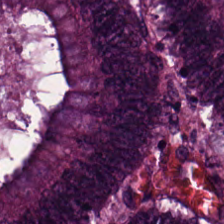Hematoxylin and eosin.
This patch shows colorectal adenocarcinoma epithelium.
